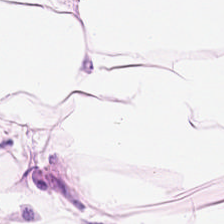Impression — fat tissue.
